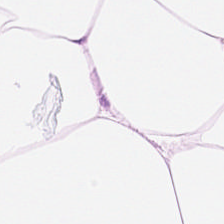Stain: hematoxylin and eosin.
Tile size: 224×224 px patch.
Tissue: adipocytes.
